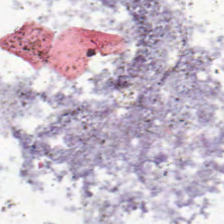224×224 px tile; H&E.
Finding → background (no tissue).
